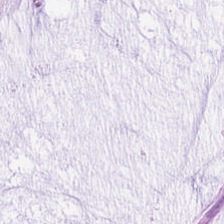FFPE; hematoxylin and eosin — The tissue is mucus.
